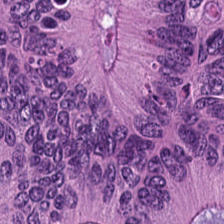Stain: H&E-stained tissue section.
Tissue type: colorectal adenocarcinoma.
